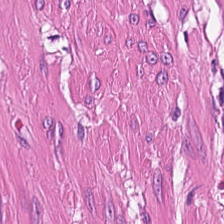H&E. 0.5 µm/px.
Finding — muscularis.
